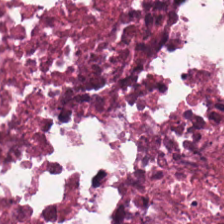Hematoxylin and eosin — Debris.
